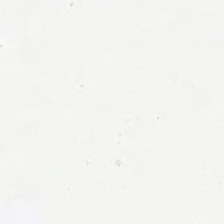WSI patch · H&E stain. Content = background (no tissue).
